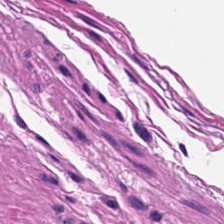H&E stain · FFPE · 224×224 px tile — The tissue class is smooth muscle.
